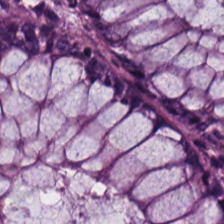Hematoxylin-and-eosin stained section — Showing normal colonic mucosa.
